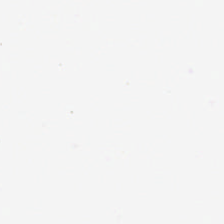0.5 µm per pixel · formalin-fixed paraffin-embedded section · H&E.
This patch shows background (no tissue).
